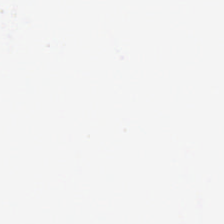Classification — no tissue.
